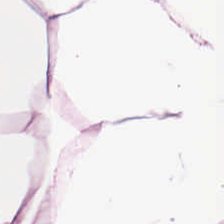Whole-slide-image patch. H&E. Tissue type: fat tissue.
